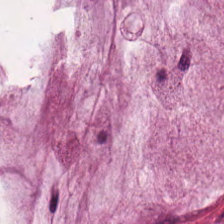H&E-stained tissue section.
Finding → mucin.
